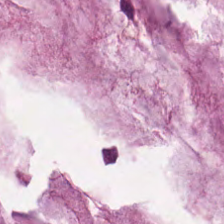Hematoxylin-and-eosin stained section. Predominant tissue: mucus.
